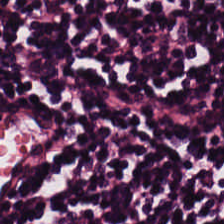Stain: H&E stain.
Resolution: 0.5 microns per pixel.
Preparation: formalin-fixed paraffin-embedded section.
Tissue type: lymphocytic infiltrate.
